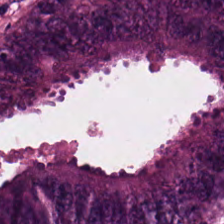Hematoxylin-and-eosin stained section. Q: What type of tissue is this?
A: The field shows colorectal adenocarcinoma epithelium.
